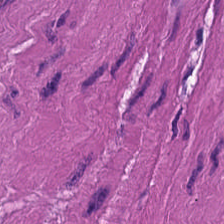H&E-stained tissue section. Showing smooth-muscle tissue.
